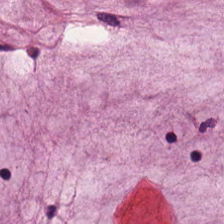H&E stain — Tissue type: mucin.
